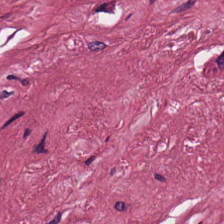H&E-stained tissue section. Impression — cancer-associated stroma.
